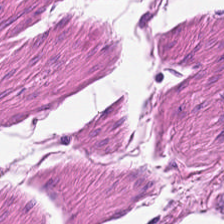Stain: H&E stain.
Preparation: formalin-fixed paraffin-embedded section.
Tile size: 224×224 pixel tile.
Tissue class: smooth muscle.
